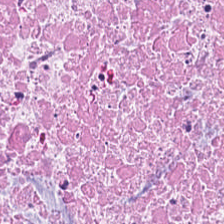Formalin-fixed paraffin-embedded section; hematoxylin and eosin — Q: What type of tissue is this?
A: It is necrotic debris.
